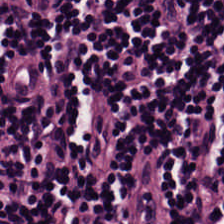Stain: hematoxylin-and-eosin stained section.
Tissue: lymphocytic infiltrate.
